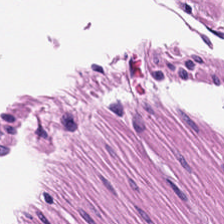The predominant tissue is smooth muscle.
